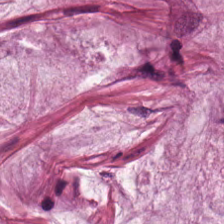FFPE · H&E — Finding — mucus.
